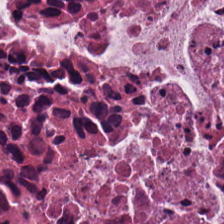Formalin-fixed paraffin-embedded section. 224×224 px patch. Hematoxylin and eosin — The tissue type is cellular debris.
